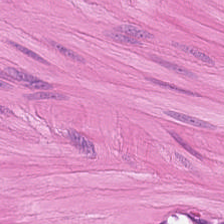Histology → muscularis.
